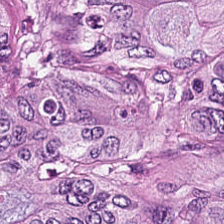Q: What type of tissue is this?
A: It is colorectal adenocarcinoma.
